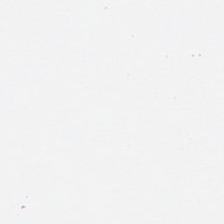Q: Classify this patch.
A: The field shows empty background.
